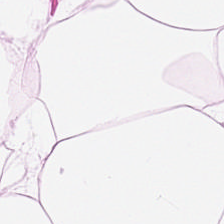H&E stain. Predominant tissue — fat tissue.
